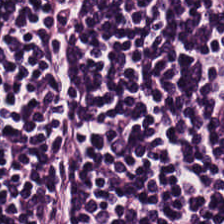0.5 µm per pixel · 224×224 px patch · hematoxylin-and-eosin stained section. Impression — lymphoid infiltrate.
